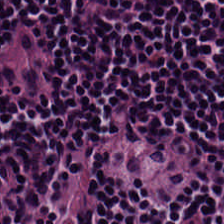Formalin-fixed paraffin-embedded section · hematoxylin-and-eosin stained section · 20× equivalent magnification.
This field is lymphocytic infiltrate.
